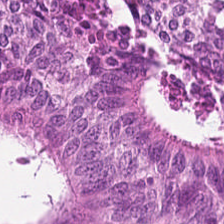This patch shows colorectal adenocarcinoma epithelium.
